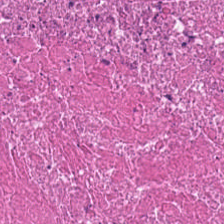H&E — cellular debris.
